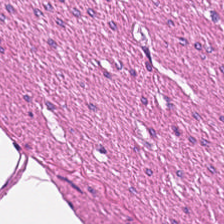Stain: H&E.
Tile size: 224×224 px tile.
Classification: smooth-muscle tissue.
